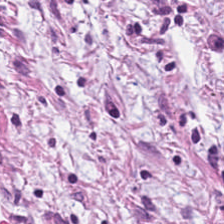Stain: hematoxylin and eosin.
Predominant tissue: tumor-associated stroma.
